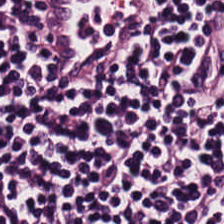H&E stain.
The tissue type is lymphocytes.
